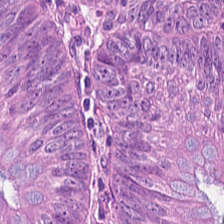Stain: H&E.
Tissue: tumor epithelium.
